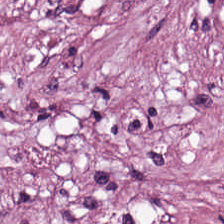Formalin-fixed paraffin-embedded section. H&E stain. 0.5 microns per pixel.
Q: What is shown here?
A: This is cancer-associated stroma.
